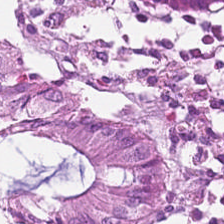Predominant tissue = non-neoplastic colon mucosa.
